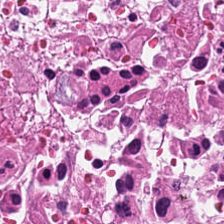Stain: hematoxylin-and-eosin stained section.
Tissue type: necrotic debris.
